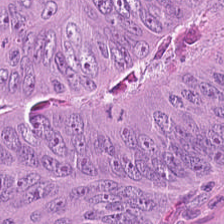H&E-stained tissue section. Q: What is shown here?
A: This is tumor epithelium.
